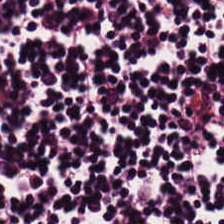Hematoxylin-and-eosin stained section. The classification is lymphocytes.
